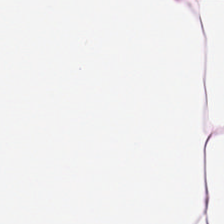Classification — adipocytes.
